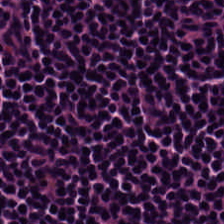H&E stain. This patch shows lymphocytic infiltrate.
